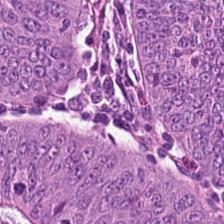Tissue — colorectal adenocarcinoma epithelium.
